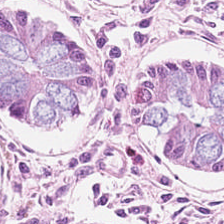Hematoxylin and eosin.
Showing normal colonic mucosa.
